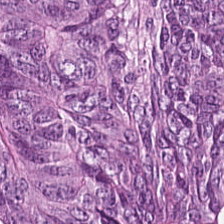Hematoxylin and eosin.
{"tissue_type": "colorectal adenocarcinoma epithelium"}
